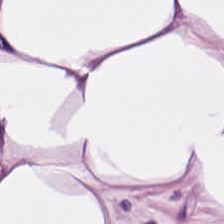Hematoxylin-and-eosin stained section — Q: What type of tissue is this?
A: The field shows adipocytes.
